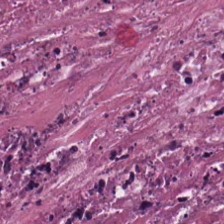Impression → necrotic debris.
